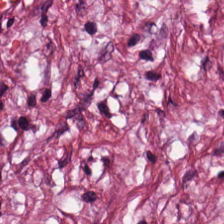H&E stain. The tissue is tumor-associated stroma.
